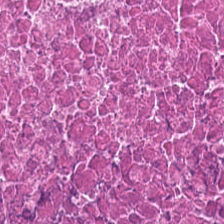Stain: H&E-stained tissue section.
Tissue type: necrotic debris.
